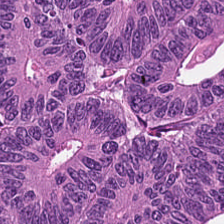Q: Identify the tissue.
A: The field shows malignant epithelium.
